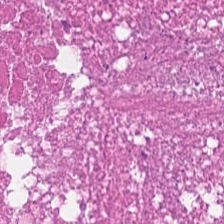This patch shows debris.
